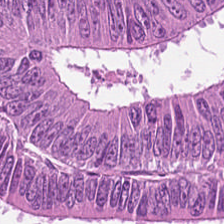H&E-stained tissue section · brightfield · FFPE tissue section — Tumor epithelium.
